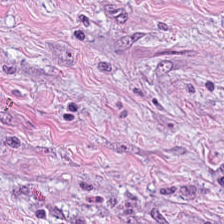H&E. Showing tumor stroma.
